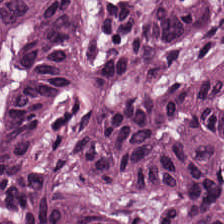Predominantly malignant epithelium.
